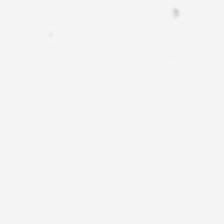Content: background (no tissue).
